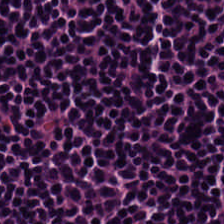H&E; whole-slide-image patch — The predominant tissue is lymphocytes.
